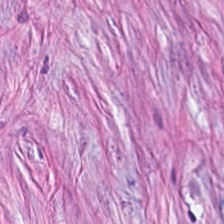Hematoxylin-and-eosin stained section.
Tissue: desmoplastic stroma.
